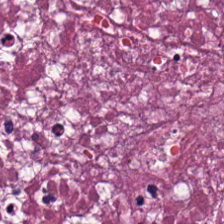Predominant tissue = cellular debris.
